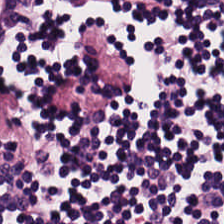Hematoxylin-and-eosin stained section. FFPE tissue section — Histology — lymphoid infiltrate.
